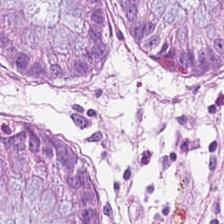H&E; 20× equivalent magnification.
This patch shows normal colon mucosa.
